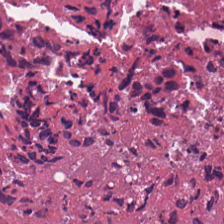Hematoxylin-and-eosin stained section. Tissue type = cellular debris.
